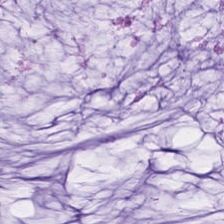Stain: hematoxylin and eosin.
Acquisition: brightfield.
Predominant tissue: extracellular mucin.
